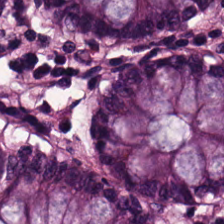Stain: hematoxylin-and-eosin stained section.
Predominant tissue: benign colonic mucosa.
